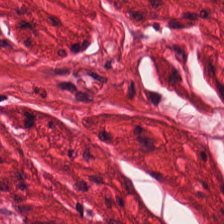Impression → smooth muscle.
